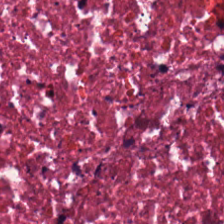Hematoxylin-and-eosin stained section — Impression — cellular debris.
